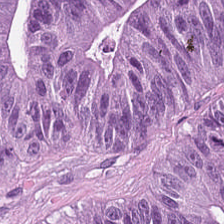224×224 px patch. Hematoxylin and eosin. Brightfield.
The predominant tissue is tumor epithelium.
